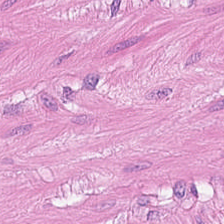H&E-stained tissue section.
The tissue here is muscularis.
